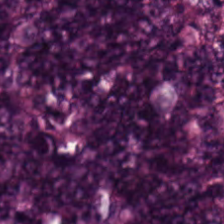Hematoxylin and eosin — Histology → colorectal adenocarcinoma.
